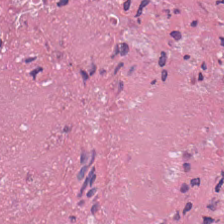Hematoxylin and eosin. Q: What does this patch show?
A: It is debris.
